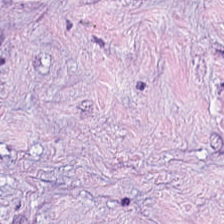Hematoxylin-and-eosin stained section — Tissue: desmoplastic stroma.
